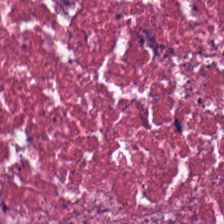Hematoxylin-and-eosin stained section. This patch shows necrotic debris.
